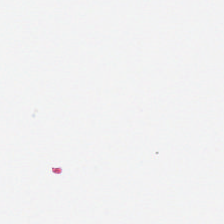Q: What is shown here?
A: No tissue.
